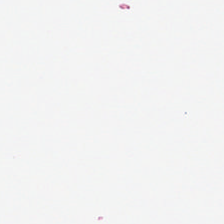Field content = empty background.
